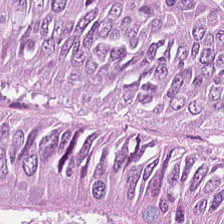0.5 µm/px · H&E stain · FFPE tissue section — The tissue here is malignant epithelium.
